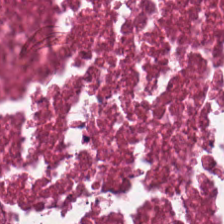Stain: H&E stain.
Tissue class: cellular debris.
